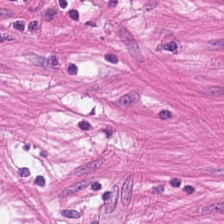Brightfield. H&E stain — Showing smooth muscle.
